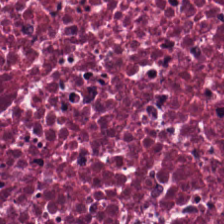0.5 µm per pixel. Hematoxylin and eosin. Q: What tissue is shown?
A: The field shows cellular debris.
